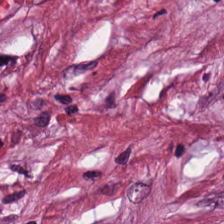Hematoxylin-and-eosin stained section — Histology — tumor stroma.
